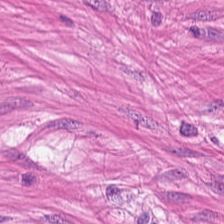Histology → smooth muscle.
